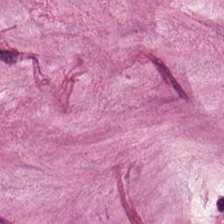0.5 µm/px. FFPE. H&E.
Predominantly mucus.
